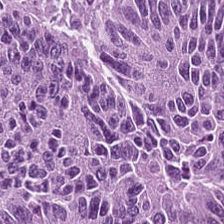20× equivalent magnification; H&E stain. Showing tumor epithelium.
